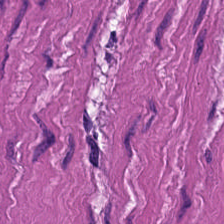FFPE tissue section · hematoxylin-and-eosin stained section — Q: What is shown in this field?
A: It is muscularis.
